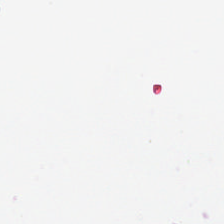H&E stain — Field content = empty background.
